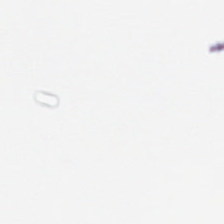Hematoxylin and eosin.
Background — no tissue in this field.
